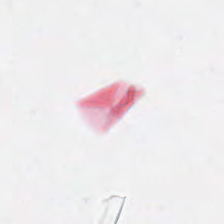Finding — background.
